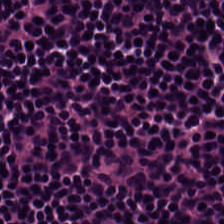H&E; 224×224 px tile; formalin-fixed paraffin-embedded section. Predominant tissue = lymphoid infiltrate.
